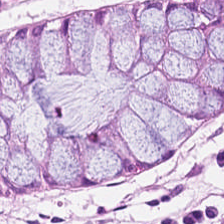224×224 px tile. Hematoxylin-and-eosin stained section. 0.5 µm/px. The tissue here is normal colonic mucosa.
